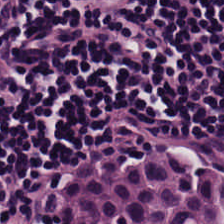Histology — lymphoid infiltrate.
